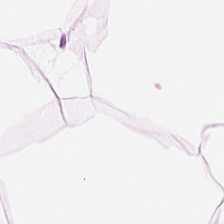FFPE tissue section; 224×224 px patch; hematoxylin and eosin — This patch shows fat tissue.
